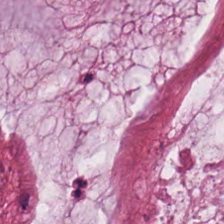Hematoxylin and eosin; 0.5 µm per pixel; 224×224 px tile.
Q: What type of tissue is this?
A: It is mucus.
